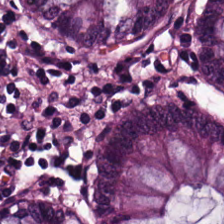Impression → normal colonic mucosa.
